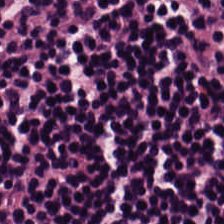Hematoxylin and eosin.
Lymphocytic infiltrate.
